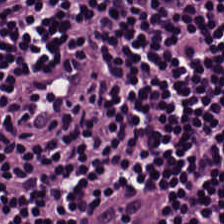Stain: H&E.
Preparation: FFPE tissue section.
Tissue class: lymphoid infiltrate.
